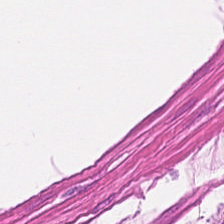Hematoxylin and eosin · FFPE tissue section · brightfield microscopy. Muscularis.
